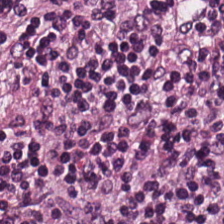Histology → lymphocyte aggregate.
